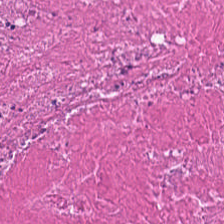20× equivalent magnification. H&E. 224×224 px tile.
Tissue — cellular debris.
